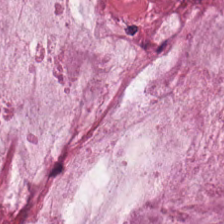H&E stain.
The predominant tissue is mucin.
